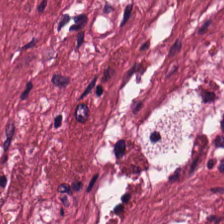224×224 px patch; H&E stain.
The tissue here is tumor-associated stroma.
